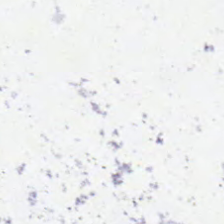Hematoxylin-and-eosin stained section. Content — background (no tissue).
